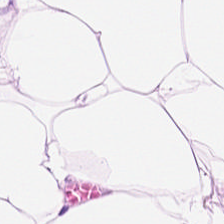Q: What is shown in this field?
A: The field shows adipocytes.
